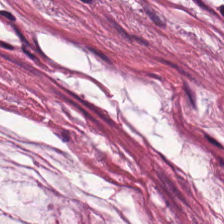0.5 µm/px. H&E. 224×224 px tile — The predominant tissue is mucus.
